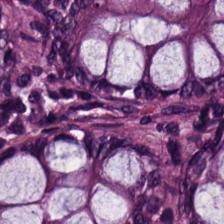Hematoxylin and eosin — The predominant tissue is benign colonic mucosa.
